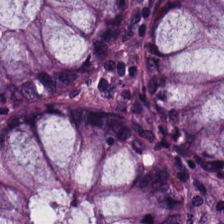The tissue here is normal colon mucosa.
